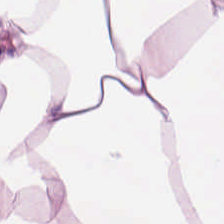H&E patch showing adipose tissue.
